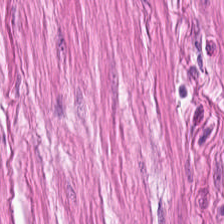Hematoxylin and eosin.
Tissue class — smooth muscle.
